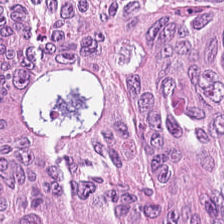H&E · 224×224 pixel tile.
Predominantly malignant epithelium.
